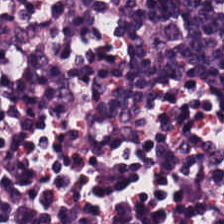H&E patch showing lymphocytes.
